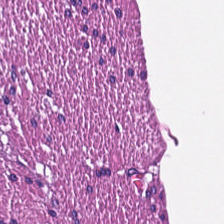Hematoxylin-and-eosin stained section. Formalin-fixed paraffin-embedded section. 0.5 microns per pixel — Predominantly muscularis.
